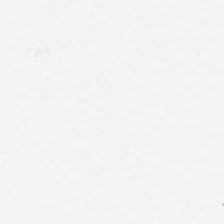Q: What does this patch show?
A: It is empty background.
